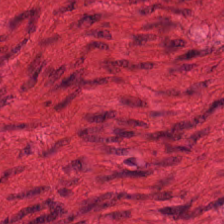H&E-stained tissue section · whole-slide-image patch.
Q: Identify the tissue.
A: This is smooth-muscle tissue.
